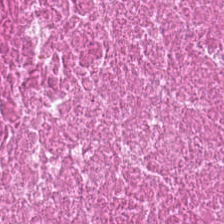224×224 pixel tile. H&E-stained tissue section. 0.5 microns per pixel — This patch shows debris.
